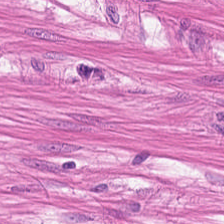Stain: H&E stain.
Tile size: 224×224 px patch.
Tissue class: smooth muscle.
